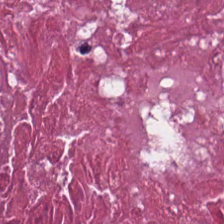Hematoxylin and eosin · FFPE — {"tissue_type": "necrotic debris"}
